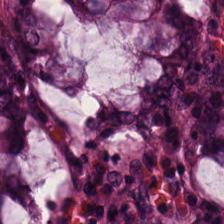H&E stain — Normal colon mucosa.
